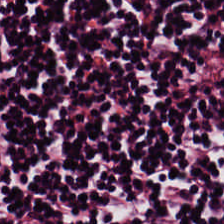H&E-stained tissue section; 0.5 µm/px — Showing lymphocytic infiltrate.
